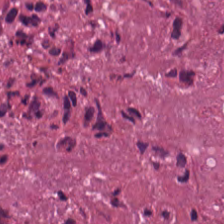H&E. Whole-slide-image patch.
This patch shows debris.
